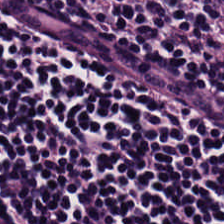Hematoxylin and eosin. 224×224 pixel tile. {"tissue_type": "lymphocytic infiltrate"}
